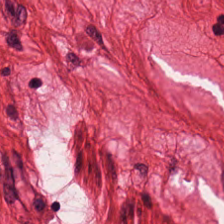{"tissue_type": "muscularis"}
